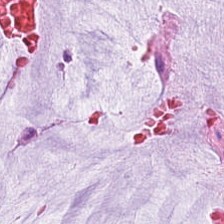Stain: H&E-stained tissue section.
Classification: mucus.
